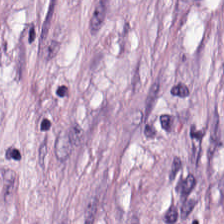224×224 pixel tile; H&E; formalin-fixed paraffin-embedded section. Tumor stroma.
